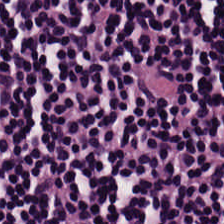H&E-stained tissue section. 0.5 µm per pixel.
Classification: lymphocytes.
